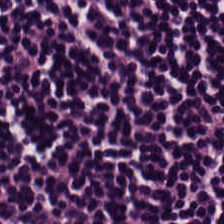H&E stain.
The predominant tissue is lymphocytic infiltrate.
